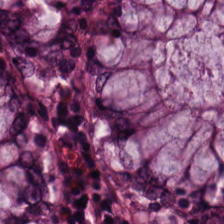Hematoxylin-and-eosin stained section — Benign colonic mucosa.
